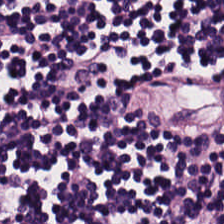H&E stain — Predominantly lymphocytes.
